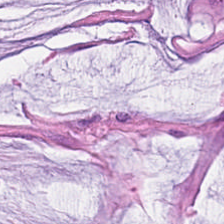Hematoxylin and eosin — Mucin.
